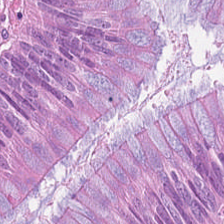Formalin-fixed paraffin-embedded section. 224×224 px patch. H&E.
{"tissue_type": "adenocarcinoma"}
